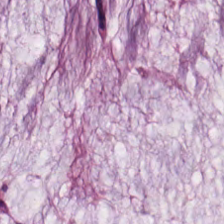Hematoxylin and eosin — Predominant tissue: extracellular mucin.
